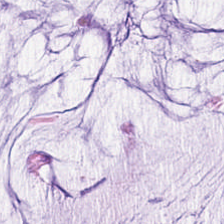Hematoxylin and eosin.
Q: Identify the tissue.
A: Mucus.
